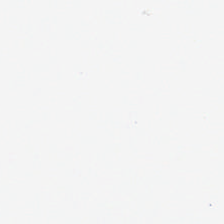Brightfield microscopy; 224×224 px patch; H&E. No tissue present; background only.
